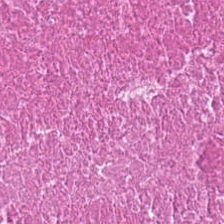This patch shows necrotic debris.
